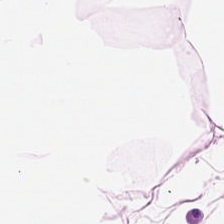Hematoxylin-and-eosin stained section. The tissue class is adipocytes.
